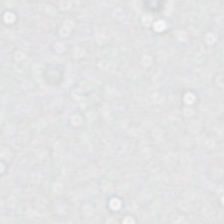Field content: no tissue.
